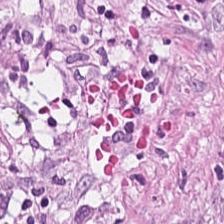H&E.
Tissue type = tumor-associated stroma.
